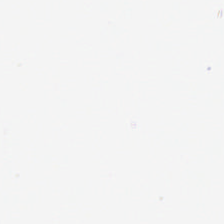This field is background (no tissue).
